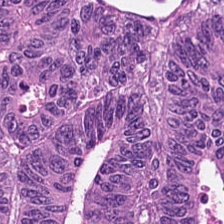Stain: H&E-stained tissue section.
Resolution: 0.5 microns per pixel.
Predominant tissue: tumor epithelium.
